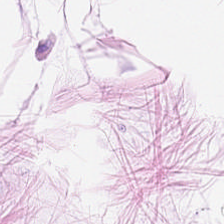224×224 px patch; hematoxylin and eosin — This patch shows adipose tissue.
